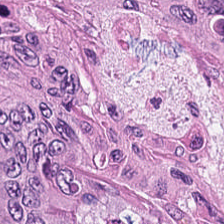H&E-stained section; the field shows colorectal adenocarcinoma.
